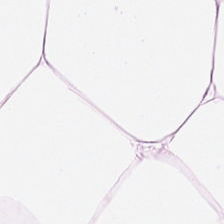H&E-stained tissue section — Q: Identify the tissue.
A: Adipose tissue.
